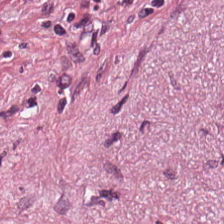H&E stain.
{"tissue_type": "tumor-associated stroma"}
